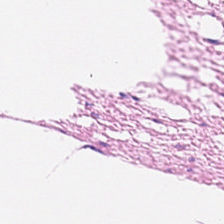224×224 px tile. Formalin-fixed paraffin-embedded section. H&E. Tissue class — smooth muscle.
